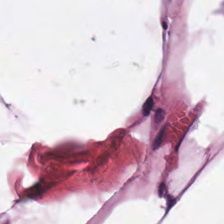H&E-stained tissue section; 224×224 px patch. Predominantly fat tissue.
